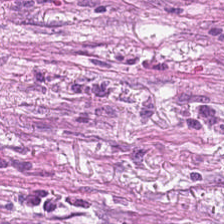224×224 pixel tile. H&E — Q: Identify the tissue.
A: The field shows tumor stroma.
